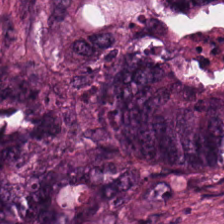Formalin-fixed paraffin-embedded section; hematoxylin-and-eosin stained section. The tissue here is tumor epithelium.
